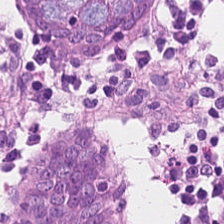224×224 pixel tile; H&E stain; WSI patch. Impression — normal colon mucosa.
